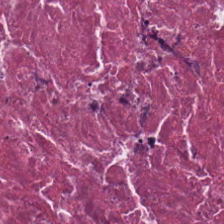H&E stain. WSI patch. Formalin-fixed paraffin-embedded section.
Predominant tissue: necrotic debris.
